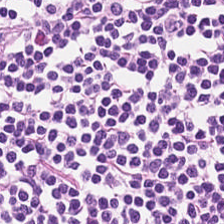Stain: hematoxylin-and-eosin stained section.
Resolution: 0.5 µm/px.
Acquisition: brightfield.
Tissue: lymphocyte aggregate.
